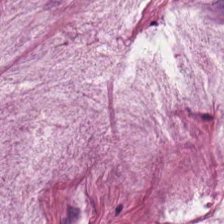Hematoxylin-and-eosin stained section.
Tissue class: mucin.
